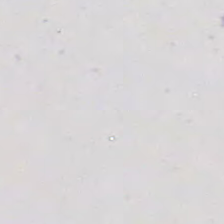H&E. No tissue present; background only.
